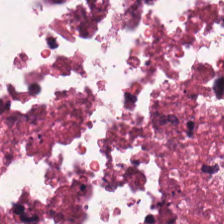H&E-stained tissue section. Showing cellular debris.
